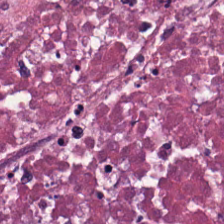20× equivalent magnification. H&E — Predominant tissue: debris.
